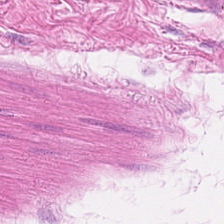This field is smooth-muscle tissue.
